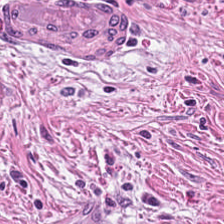H&E-stained tissue section — Impression → desmoplastic stroma.
